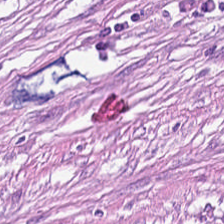224×224 px patch · H&E · formalin-fixed paraffin-embedded section.
Impression — tumor-associated stroma.
